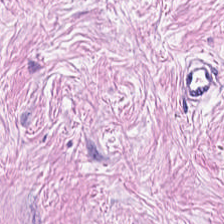Tissue class = cancer-associated stroma.
